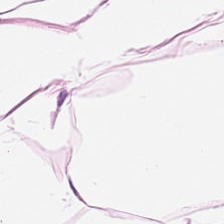H&E-stained tissue section · formalin-fixed paraffin-embedded section — Tissue type = adipose tissue.
